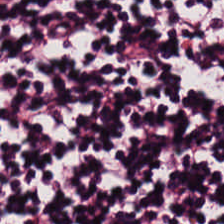FFPE · hematoxylin-and-eosin stained section · 20× equivalent magnification.
Histology → lymphocytic infiltrate.
